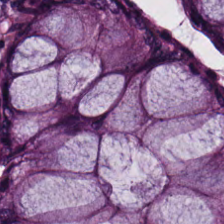Stain: H&E-stained tissue section.
Tissue type: normal colon mucosa.
